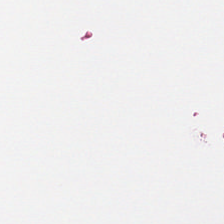224×224 pixel tile; H&E-stained tissue section; FFPE tissue section — Histology — background.
